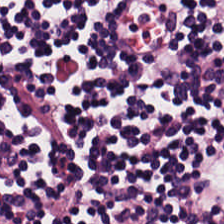Whole-slide-image patch; hematoxylin and eosin; 0.5 µm/px — Impression → lymphocyte aggregate.
